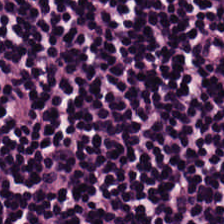H&E-stained section; the field shows lymphoid infiltrate.
